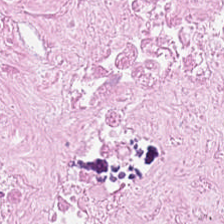FFPE tissue section · hematoxylin-and-eosin stained section.
Debris.
